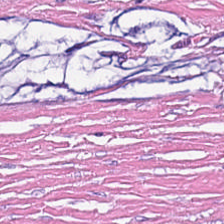Tumor stroma.
